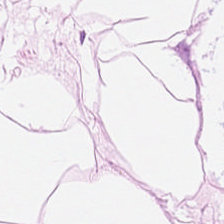Hematoxylin-and-eosin stained section — Predominant tissue — adipose.
